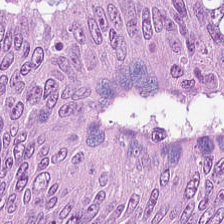H&E.
Tissue type — colorectal adenocarcinoma.
